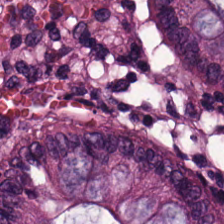H&E stain — {"tissue_type": "normal colonic mucosa"}
